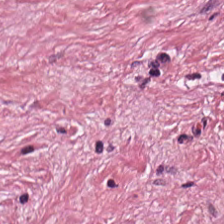Showing desmoplastic stroma.
